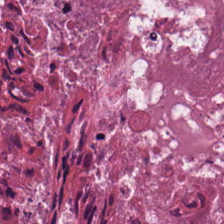FFPE. H&E stain. Q: What is shown here?
A: It is debris.
